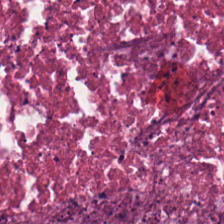H&E.
The predominant tissue is necrotic debris.
